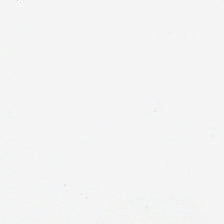This patch shows background.
